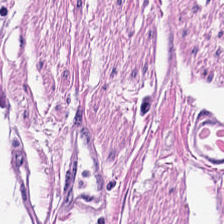H&E. 224×224 px patch. WSI patch — Q: What is the predominant tissue type?
A: It is smooth-muscle tissue.
